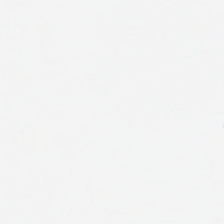{"content": "background (no tissue)"}
